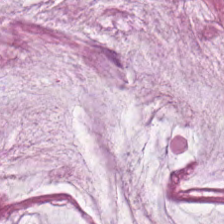Stain: hematoxylin-and-eosin stained section.
Classification: extracellular mucin.
